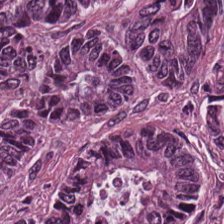H&E stain. This field is adenocarcinoma.
